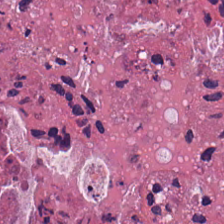Tissue type = debris.
